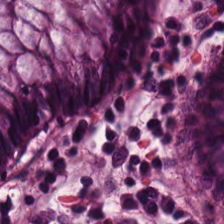This patch shows normal colonic mucosa.
